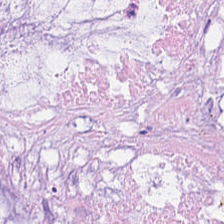WSI patch. Hematoxylin-and-eosin stained section. FFPE.
The tissue here is mucin.
